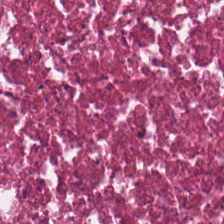H&E stain · 224×224 px tile · 0.5 µm per pixel.
Histology — debris.
